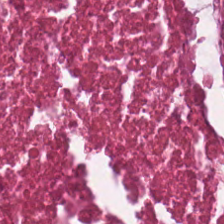WSI patch; H&E stain; FFPE tissue section.
This field is necrotic debris.
